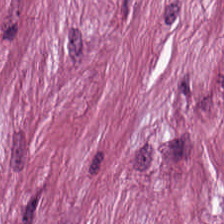H&E-stained tissue section. Showing tumor stroma.
